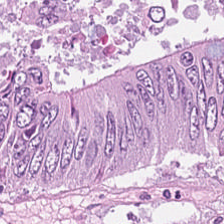Q: What is shown in this field?
A: It is tumor epithelium.
